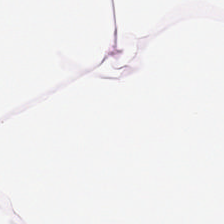Impression → adipose.
